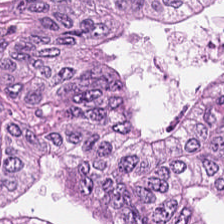WSI patch. Hematoxylin-and-eosin stained section — The tissue type is colorectal adenocarcinoma epithelium.
